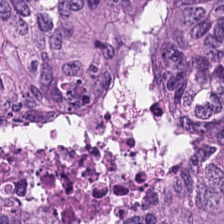Stain: hematoxylin-and-eosin stained section.
Acquisition: brightfield microscopy.
Resolution: 0.5 µm per pixel.
Tissue type: adenocarcinoma.
